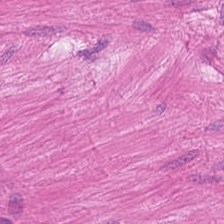H&E.
Predominantly smooth-muscle tissue.
